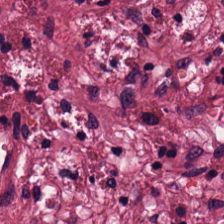224×224 pixel tile; 0.5 µm per pixel; hematoxylin and eosin.
Histology — desmoplastic stroma.
